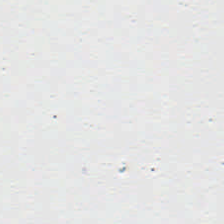No tissue present; background only.
